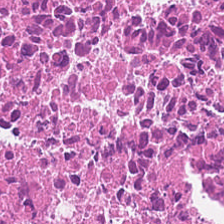H&E-stained tissue section.
The predominant tissue is debris.
